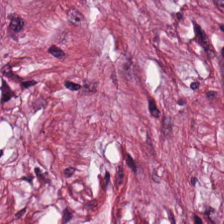224×224 pixel tile · H&E stain — Finding → desmoplastic stroma.
